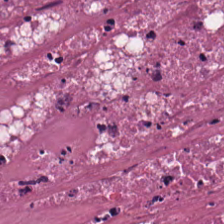The tissue type is cellular debris.
